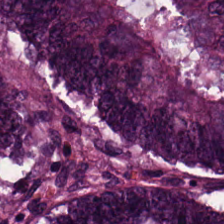Hematoxylin and eosin — {"tissue_type": "colorectal adenocarcinoma"}
